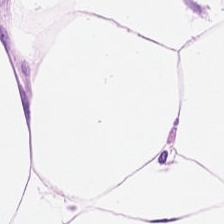Hematoxylin and eosin. This field is fat tissue.
